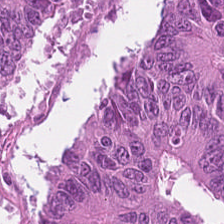H&E patch showing tumor epithelium.
